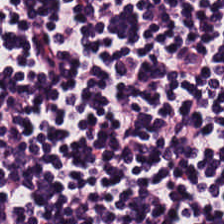{"tissue_type": "lymphoid infiltrate"}
